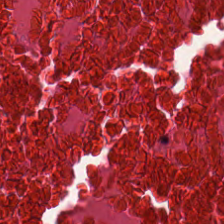Formalin-fixed paraffin-embedded section. Hematoxylin-and-eosin stained section.
Q: What tissue type is shown here?
A: The field shows cellular debris.
